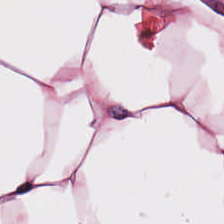Hematoxylin-and-eosin stained section. Tissue = adipose.
